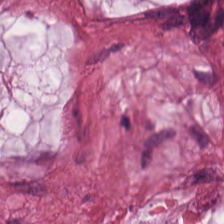Stain: hematoxylin-and-eosin stained section.
Classification: mucus.
